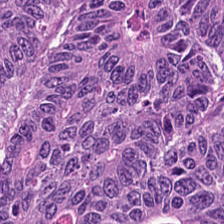Tissue class = adenocarcinoma.
